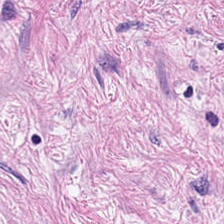Stain: H&E stain.
Tissue: desmoplastic stroma.
